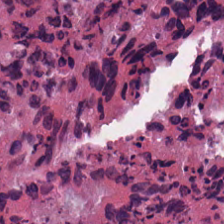Hematoxylin-and-eosin section: cellular debris.
